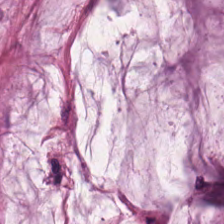Stain: hematoxylin and eosin.
Tissue class: mucus.
